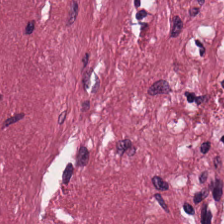Hematoxylin-and-eosin stained section.
The tissue here is cancer-associated stroma.
